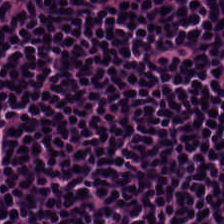Hematoxylin-and-eosin stained section · 224×224 px patch. Lymphocytic infiltrate.
